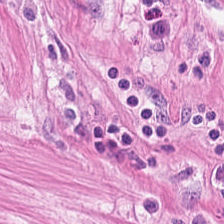Stain: H&E.
Tile size: 224×224 px tile.
Acquisition: brightfield.
Tissue class: smooth-muscle tissue.
